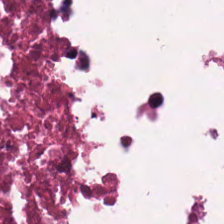Stain: hematoxylin and eosin.
Predominant tissue: necrotic debris.
